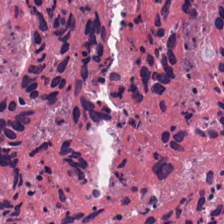H&E-stained tissue section. Finding — cellular debris.
